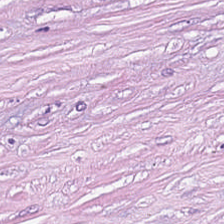Hematoxylin-and-eosin stained section. Brightfield. 224×224 pixel tile.
This patch shows cancer-associated stroma.
